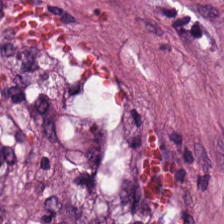Stain: H&E.
Tissue: tumor-associated stroma.
